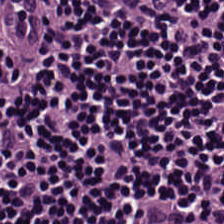Q: Classify this patch.
A: This is lymphocytes.
